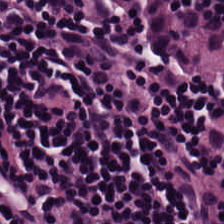Predominantly lymphocyte aggregate.
